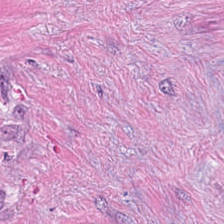Hematoxylin and eosin · formalin-fixed paraffin-embedded section. Tissue = desmoplastic stroma.
